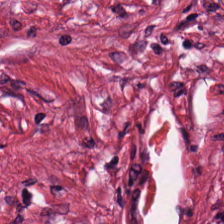Hematoxylin and eosin — Predominantly desmoplastic stroma.
